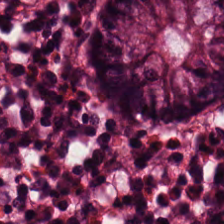H&E. {"tissue_type": "normal colon mucosa"}
